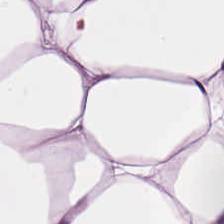Hematoxylin and eosin.
Predominant tissue: adipose.
